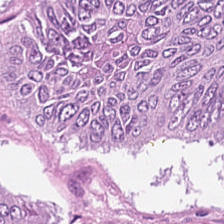Adenocarcinoma.
